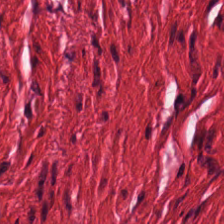H&E.
Smooth-muscle tissue.
